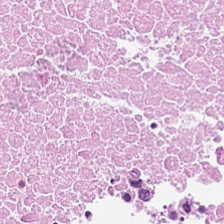Hematoxylin-and-eosin stained section. FFPE. {"tissue_type": "necrotic debris"}
